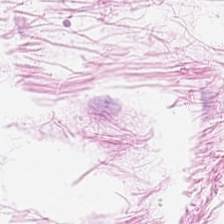H&E-stained tissue section. Tissue = adipose.
